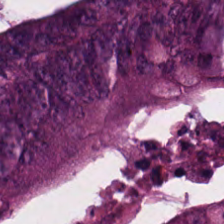The predominant tissue is adenocarcinoma.
